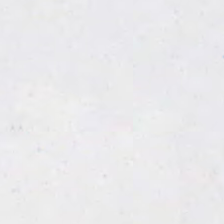224×224 px patch; H&E stain.
Empty background.
